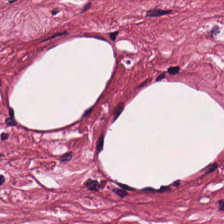H&E-stained tissue section — Tissue — desmoplastic stroma.
